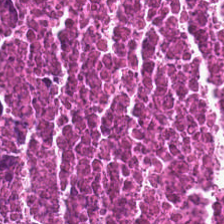H&E-stained tissue section. The tissue type is necrotic debris.
